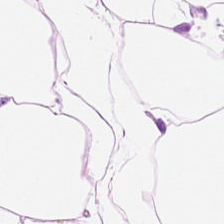H&E. Q: Classify this patch.
A: It is adipose tissue.
